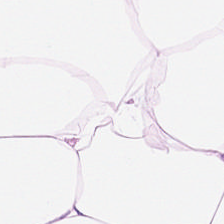Q: Identify the tissue.
A: The field shows adipose.
